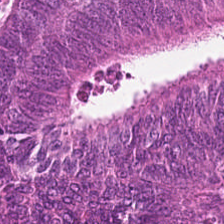Q: What type of tissue is this?
A: The field shows colorectal adenocarcinoma.
